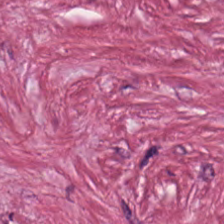Hematoxylin-and-eosin section: desmoplastic stroma.
